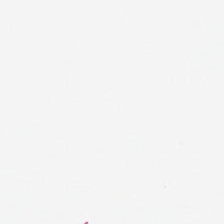H&E.
This field is background (no tissue).
